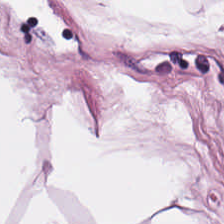H&E patch showing adipocytes.
